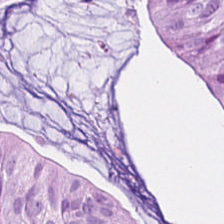Hematoxylin-and-eosin section: colorectal adenocarcinoma.
